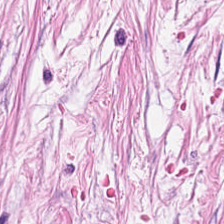H&E stain. This field is cancer-associated stroma.
